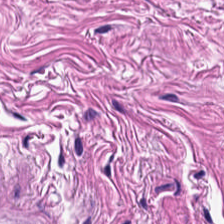Stain: H&E.
Tissue: smooth-muscle tissue.
